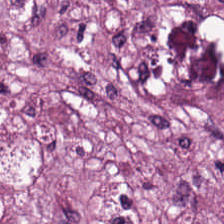H&E-stained tissue section; 224×224 px patch; 0.5 µm/px. Predominantly desmoplastic stroma.
